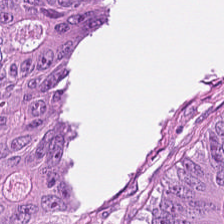Hematoxylin-and-eosin stained section · 224×224 px tile · FFPE tissue section.
{"tissue_type": "tumor epithelium"}
